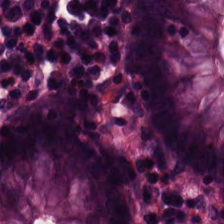Hematoxylin-and-eosin stained section. The tissue is benign colonic mucosa.
